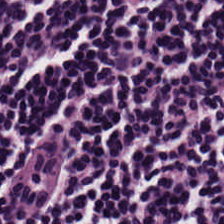H&E-stained tissue section.
Q: What is shown in this field?
A: It is lymphoid infiltrate.
